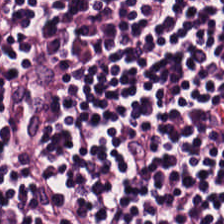Finding → lymphocytes.
